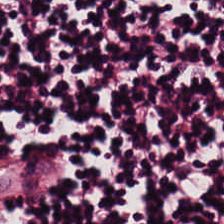H&E — Q: What is shown in this field?
A: Lymphocytic infiltrate.
